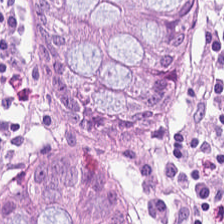H&E-stained tissue section.
Tissue — benign colonic mucosa.
